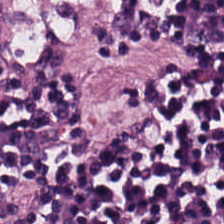H&E-stained tissue section.
Q: What is shown in this field?
A: The field shows lymphocyte aggregate.
